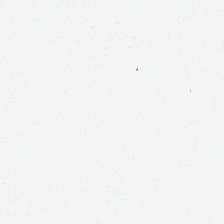H&E — Q: What is shown in this field?
A: The field shows empty background.
